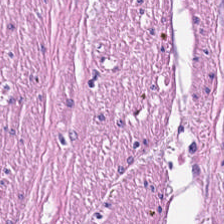Hematoxylin-and-eosin stained section. Formalin-fixed paraffin-embedded section. Whole-slide-image patch. Tissue class — muscularis.
